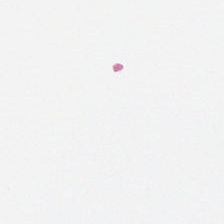Histology — background.
